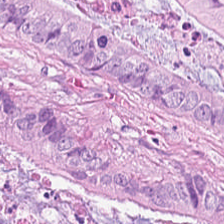Hematoxylin-and-eosin stained section.
{"tissue_type": "colorectal adenocarcinoma"}
